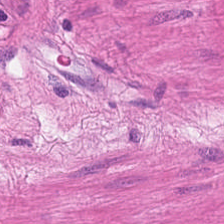Tissue — muscularis.
